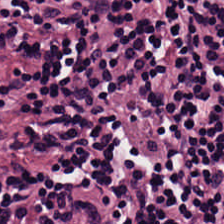Stain: H&E.
Classification: lymphoid infiltrate.
